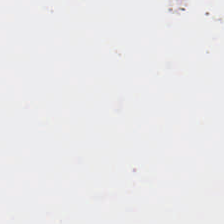Hematoxylin and eosin. This patch shows empty background.
